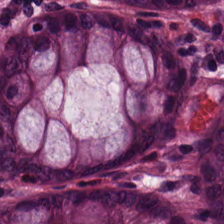20× equivalent magnification; H&E-stained tissue section.
Predominantly non-neoplastic colon mucosa.
